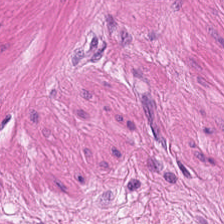H&E stain; 0.5 µm per pixel — Predominantly muscularis.
